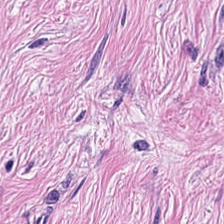Hematoxylin and eosin; WSI patch; 0.5 microns per pixel. Finding — tumor-associated stroma.
